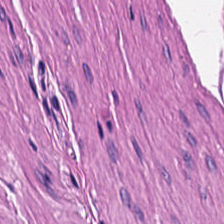Formalin-fixed paraffin-embedded section; hematoxylin-and-eosin stained section. Impression — smooth muscle.
